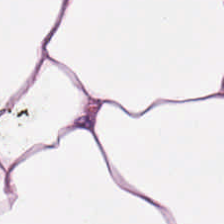H&E-stained tissue section. Adipocytes.
